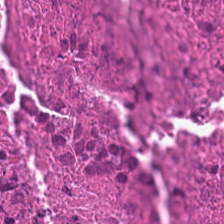H&E-stained tissue section — Debris.
